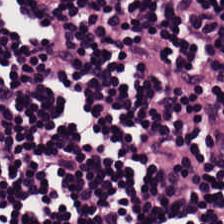H&E.
Classification = lymphoid infiltrate.
